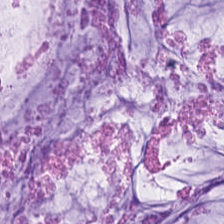Finding → mucin.
